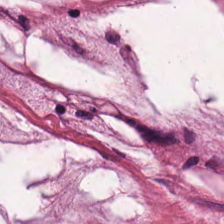Hematoxylin-and-eosin stained section.
Tissue: mucin.
